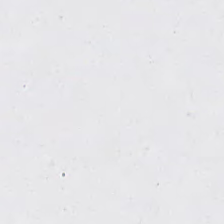H&E stain.
Empty field — background.
